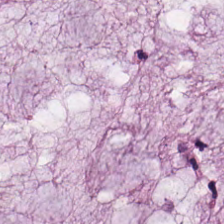H&E stain.
This patch shows extracellular mucin.
